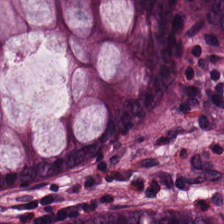H&E-stained tissue section · whole-slide-image patch. Q: What is the predominant tissue type?
A: It is normal colonic mucosa.
